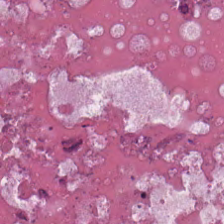H&E.
Tissue class — necrotic debris.
